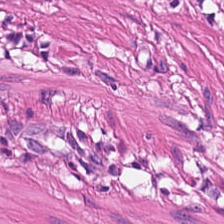0.5 µm per pixel; H&E-stained tissue section; formalin-fixed paraffin-embedded section. Smooth-muscle tissue.
